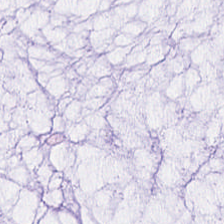Extracellular mucin.
